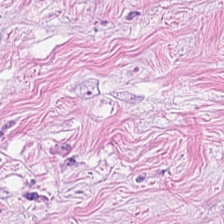Hematoxylin-and-eosin stained section. Classification — cancer-associated stroma.
